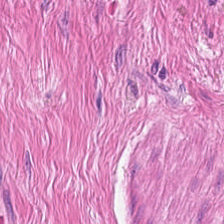Brightfield microscopy; H&E stain; 224×224 px tile.
Predominantly muscularis.
